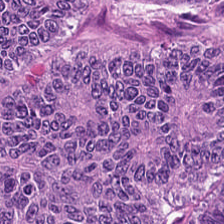0.5 µm per pixel; hematoxylin-and-eosin stained section; formalin-fixed paraffin-embedded section.
Predominant tissue = colorectal adenocarcinoma.
